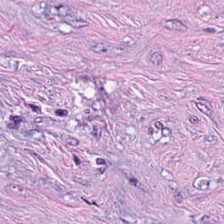Hematoxylin and eosin — The tissue here is cancer-associated stroma.
